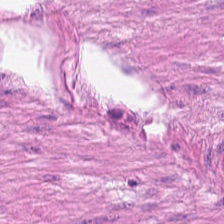H&E stain — Q: What is shown here?
A: It is muscularis.
